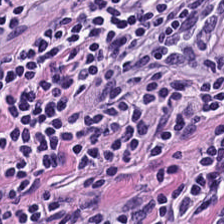H&E-stained tissue section. Predominant tissue — lymphocytic infiltrate.
